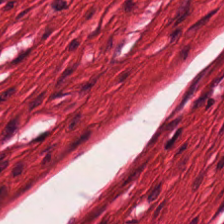H&E. Predominantly muscularis.
